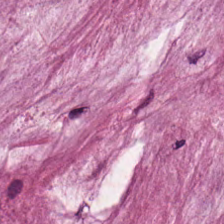Stain: hematoxylin-and-eosin stained section.
Tile size: 224×224 px tile.
Tissue class: extracellular mucin.
